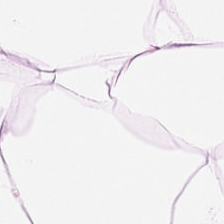FFPE · H&E-stained tissue section. Tissue class: fat tissue.
